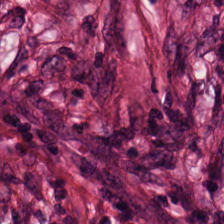H&E stain · 0.5 µm/px — Q: What tissue is shown?
A: The field shows tumor stroma.
